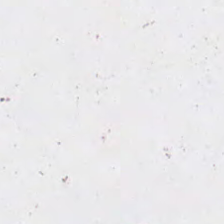H&E stain.
Histology → background.
